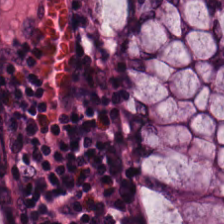Hematoxylin-and-eosin stained section. Finding → non-neoplastic colon mucosa.
